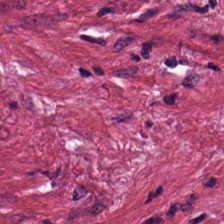H&E stain. FFPE — Tissue type = cancer-associated stroma.
